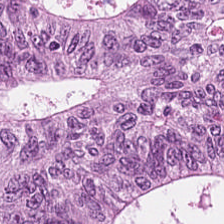H&E stain; FFPE.
Predominant tissue = adenocarcinoma.
